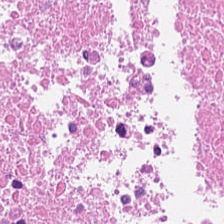0.5 µm per pixel. H&E stain. Brightfield. Tissue class = debris.
